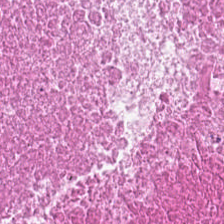Q: Classify this patch.
A: Cellular debris.
